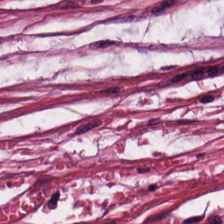Formalin-fixed paraffin-embedded section; hematoxylin and eosin. Classification = desmoplastic stroma.
